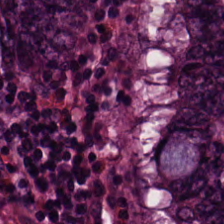Hematoxylin and eosin — {"tissue_type": "adenocarcinoma"}
